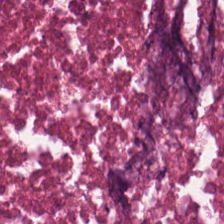H&E stain. Predominant tissue — cellular debris.
